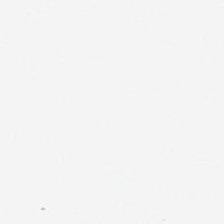Hematoxylin-and-eosin stained section. 0.5 microns per pixel. Classification = empty background.
